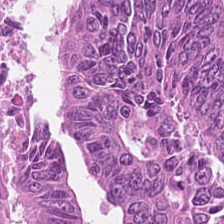H&E patch showing adenocarcinoma.
